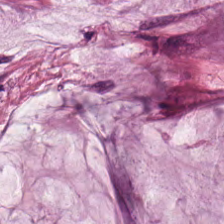H&E stain.
This patch shows mucin.
